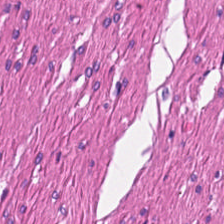H&E-stained tissue section — Showing muscularis.
